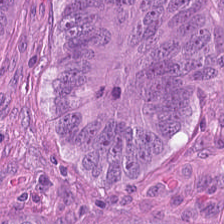H&E-stained tissue section · 224×224 pixel tile. Showing adenocarcinoma.
